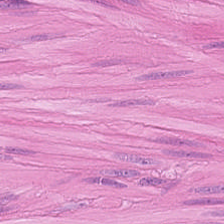Stain: H&E.
Predominant tissue: muscularis.
